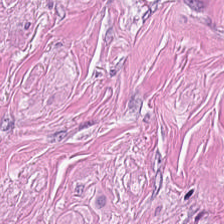H&E-stained tissue section showing tumor stroma.
